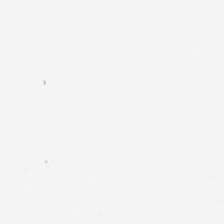0.5 µm per pixel. H&E stain.
No tissue present; background only.
